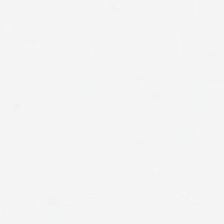The field content is empty background.
